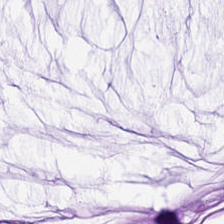The tissue here is mucin.
